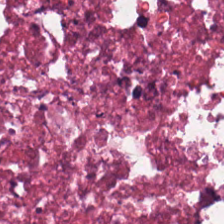H&E-stained tissue section; brightfield. The tissue here is necrotic debris.
